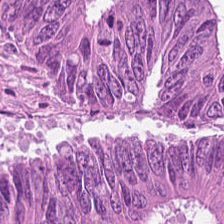This patch shows malignant epithelium.
